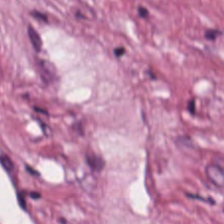Stain: hematoxylin and eosin.
Tissue class: tumor stroma.
